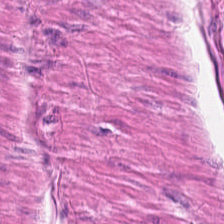H&E — Showing smooth-muscle tissue.
